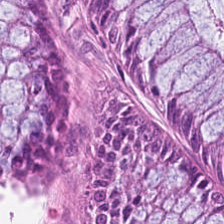H&E-stained tissue section; 224×224 px tile; brightfield microscopy. Showing normal colon mucosa.
